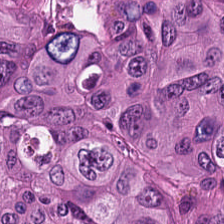Stain: H&E stain.
Resolution: 0.5 µm/px.
Tile size: 224×224 pixel tile.
Predominant tissue: malignant epithelium.
